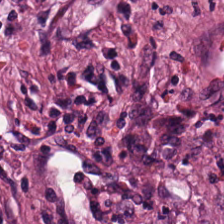Stain: hematoxylin-and-eosin stained section.
Preparation: formalin-fixed paraffin-embedded section.
Tissue: cancer-associated stroma.
